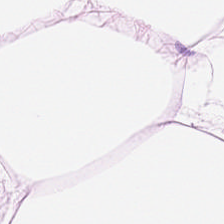H&E-stained tissue section.
Tissue class — adipose tissue.
